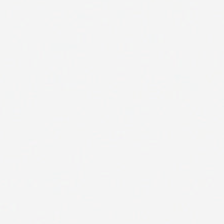Hematoxylin and eosin · WSI patch.
The content is no tissue.
